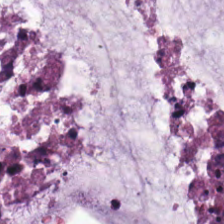The tissue here is mucin.
